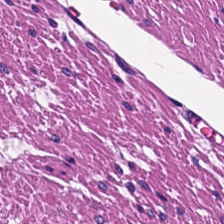The classification is smooth muscle.
